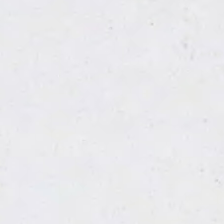H&E-stained tissue section. FFPE — Empty field — background.
